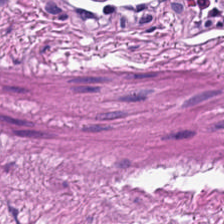H&E stain.
Tissue type — smooth muscle.
